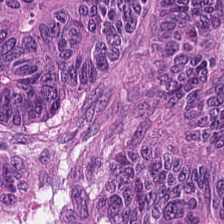Hematoxylin-and-eosin stained section; brightfield. The predominant tissue is adenocarcinoma.
